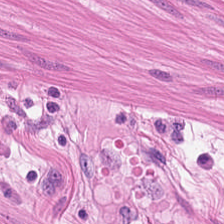Stain: hematoxylin and eosin.
Tissue type: smooth-muscle tissue.
